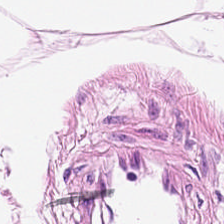Tissue: fat tissue.
